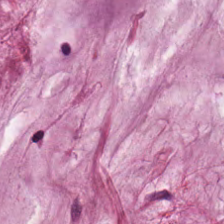{"tissue_type": "extracellular mucin"}
